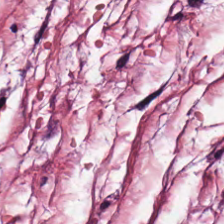Hematoxylin-and-eosin stained section — {"tissue_type": "desmoplastic stroma"}
